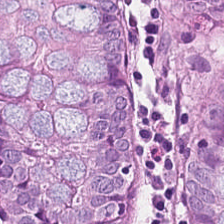H&E. 0.5 µm per pixel. Impression → benign colonic mucosa.
